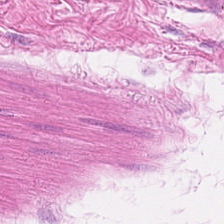H&E-stained tissue section · formalin-fixed paraffin-embedded section.
Q: What does this patch show?
A: Muscularis.
